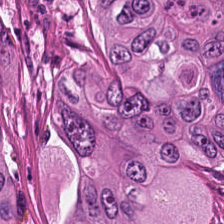H&E-stained tissue section.
This patch shows colorectal adenocarcinoma epithelium.
